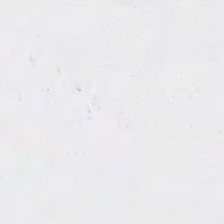20× equivalent magnification. H&E-stained tissue section — Classification: background (no tissue).
